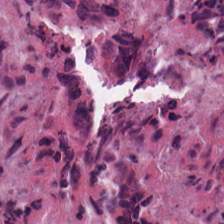Tissue class: cellular debris.
